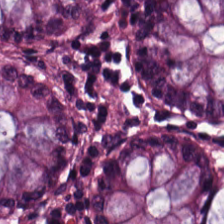H&E-stained tissue section.
Q: What is the predominant tissue type?
A: The field shows non-neoplastic colon mucosa.
